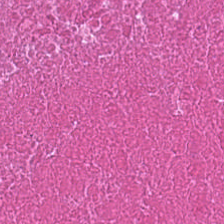Stain: hematoxylin-and-eosin stained section.
Preparation: FFPE tissue section.
Acquisition: brightfield microscopy.
Tissue: cellular debris.
